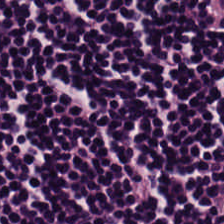Stain: hematoxylin and eosin.
Tissue type: lymphocyte aggregate.
